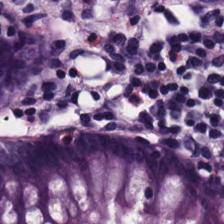Tissue class = normal colonic mucosa.
